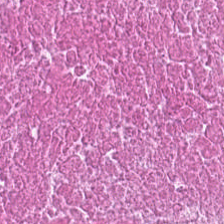Predominant tissue — debris.
